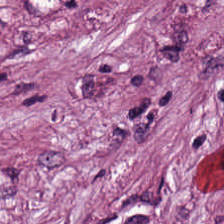Hematoxylin and eosin.
Predominant tissue — tumor-associated stroma.
